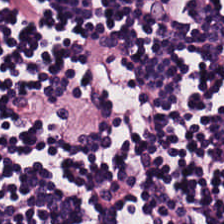Stain: H&E-stained tissue section.
Preparation: FFPE tissue section.
Classification: lymphocytic infiltrate.
